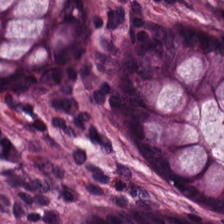Q: What is the predominant tissue type?
A: Normal colonic mucosa.
